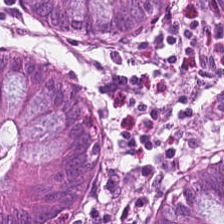Histology — normal colonic mucosa.
